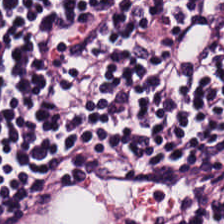H&E.
This field is lymphocytes.
